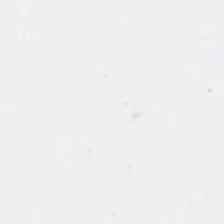No tissue present; background only.
